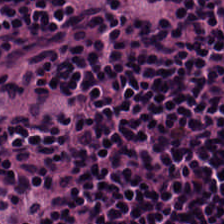H&E-stained tissue section. 224×224 px tile.
Predominantly lymphocyte aggregate.
